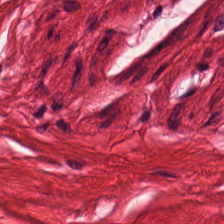Stain: H&E stain.
Predominant tissue: muscularis.
